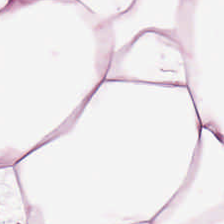WSI patch; H&E stain; 0.5 microns per pixel. Adipocytes.
